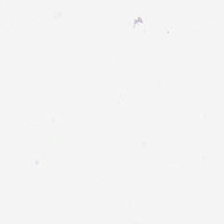H&E stain.
Content: background.
